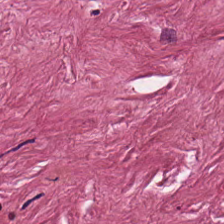H&E-stained tissue section. {"tissue_type": "cancer-associated stroma"}
